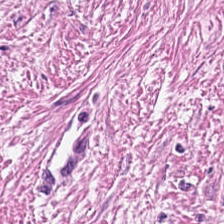H&E stain. Formalin-fixed paraffin-embedded section. Whole-slide-image patch — Classification — tumor stroma.
